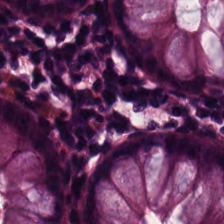Hematoxylin and eosin.
Q: What tissue type is shown here?
A: Benign colonic mucosa.
